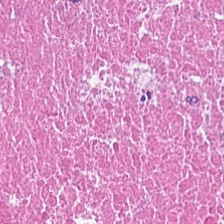Hematoxylin-and-eosin stained section — Tissue: necrotic debris.
